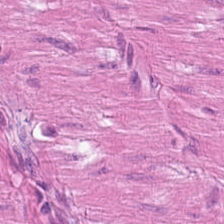Hematoxylin and eosin · 224×224 px patch.
Q: What tissue type is shown here?
A: This is muscularis.
